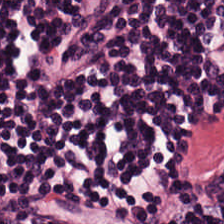Q: What does this patch show?
A: Lymphocytes.
